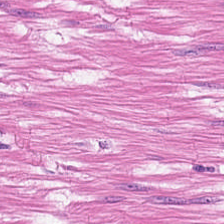Hematoxylin-and-eosin stained section.
Showing smooth-muscle tissue.
